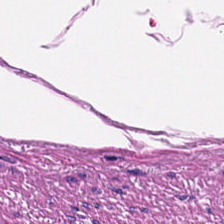FFPE · brightfield microscopy · H&E stain.
Tissue class: muscularis.
